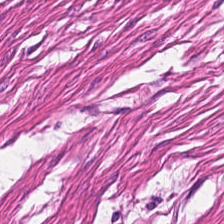Classification — smooth muscle.
